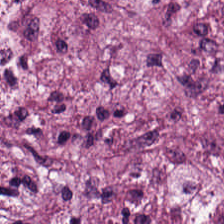Whole-slide-image patch. H&E-stained tissue section — Tissue type — tumor stroma.
